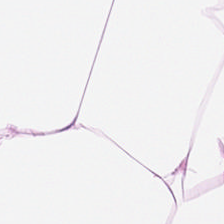Stain: hematoxylin and eosin.
Tissue class: adipocytes.
